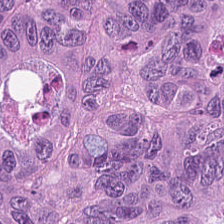H&E stain.
Classification — colorectal adenocarcinoma.
